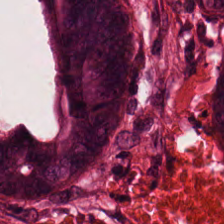H&E · 224×224 px tile · 0.5 µm/px.
The tissue here is colorectal adenocarcinoma.
